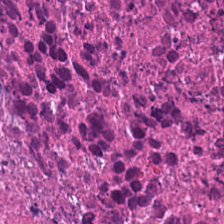Brightfield. H&E stain. 0.5 µm per pixel — The predominant tissue is necrotic debris.
